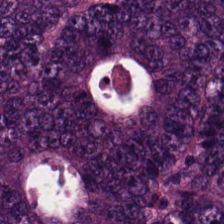Predominantly malignant epithelium.
